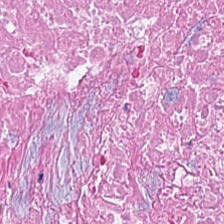Hematoxylin and eosin; 224×224 pixel tile. {"tissue_type": "necrotic debris"}
